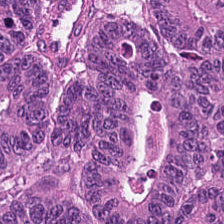H&E · 224×224 px patch — Tumor epithelium.
